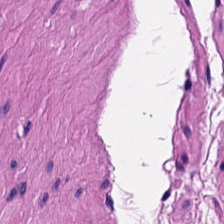Hematoxylin-and-eosin section: smooth-muscle tissue.
